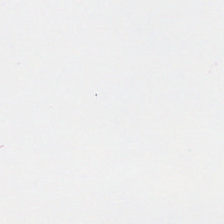224×224 px patch · 20× equivalent magnification · H&E stain — Background — no tissue in this field.
